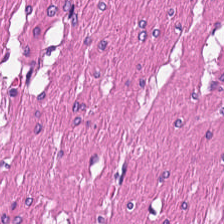H&E stain. FFPE tissue section. Classification = muscularis.
